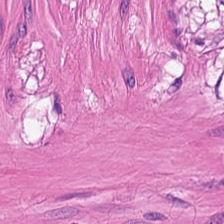{"tissue_type": "smooth-muscle tissue"}
